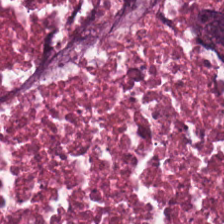H&E-stained tissue section. Tissue: cellular debris.
